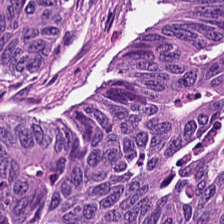This field is tumor epithelium.
